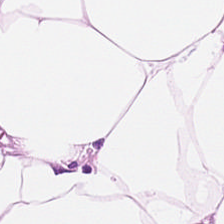Stain: H&E-stained tissue section.
Tissue type: adipocytes.
